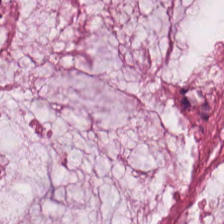{"tissue_type": "mucus"}
